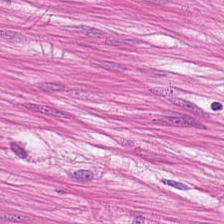H&E — This field is smooth-muscle tissue.
